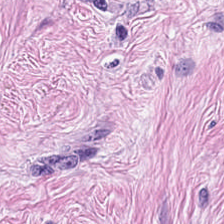H&E-stained tissue section; formalin-fixed paraffin-embedded section. The predominant tissue is cancer-associated stroma.
